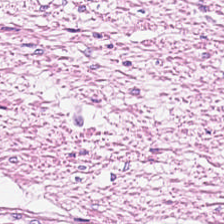224×224 px tile; hematoxylin-and-eosin stained section. Showing smooth-muscle tissue.
